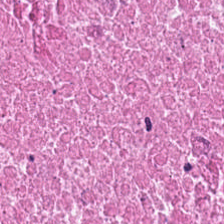H&E-stained tissue section; 0.5 microns per pixel. {"tissue_type": "debris"}
